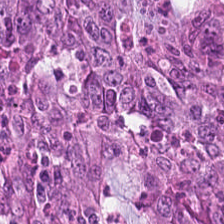H&E-stained tissue section. WSI patch. Predominantly adenocarcinoma.
